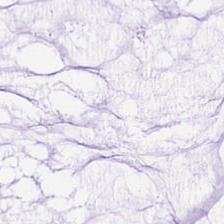Tissue type: mucus.
